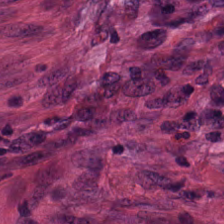Hematoxylin-and-eosin section: cancer-associated stroma.
